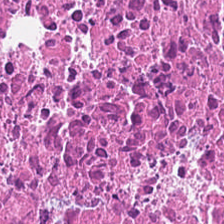Hematoxylin and eosin. Predominant tissue: necrotic debris.
